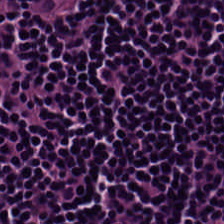H&E. The predominant tissue is lymphocytic infiltrate.
